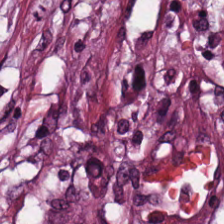Hematoxylin and eosin.
Tissue = tumor-associated stroma.
